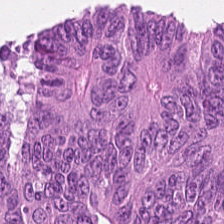20× equivalent magnification. Hematoxylin-and-eosin stained section. Brightfield microscopy. The predominant tissue is colorectal adenocarcinoma.
